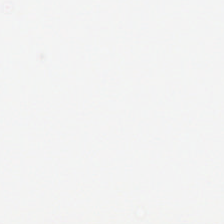224×224 px tile. H&E-stained tissue section. Empty field — background (no tissue).
